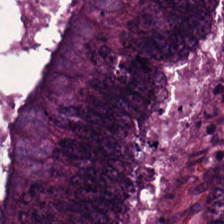Q: What is the predominant tissue type?
A: It is colorectal adenocarcinoma.
